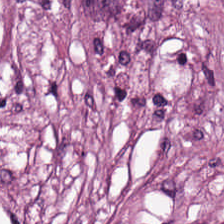H&E-stained tissue section; 20× equivalent magnification; brightfield. This field is desmoplastic stroma.
